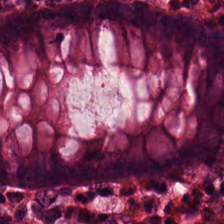Showing normal colon mucosa.
